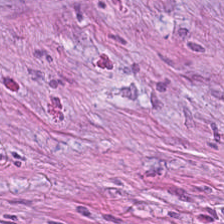H&E stain · whole-slide-image patch · FFPE.
{"tissue_type": "desmoplastic stroma"}
